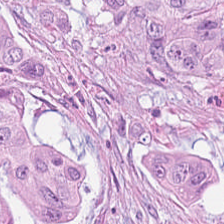H&E. Colorectal adenocarcinoma.
